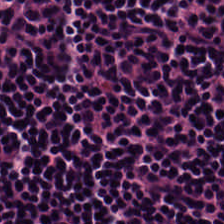H&E. The predominant tissue is lymphocytes.
